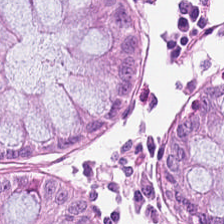Stain: H&E.
Preparation: FFPE.
Acquisition: whole-slide-image patch.
Tissue type: normal colon mucosa.
